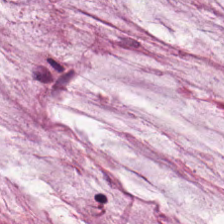WSI patch · H&E-stained tissue section. Predominantly extracellular mucin.
